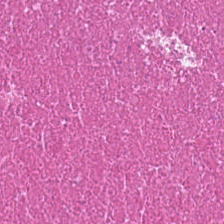Finding → cellular debris.
